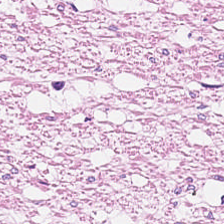H&E-stained tissue section — Tissue class: smooth-muscle tissue.
